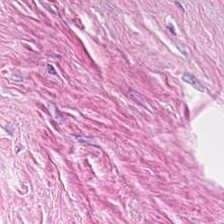Finding → desmoplastic stroma.
